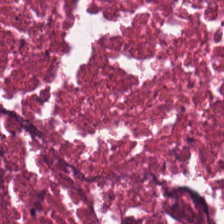H&E stain — Predominantly debris.
